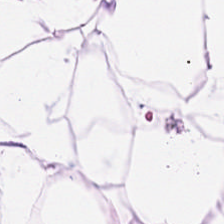WSI patch. H&E. 224×224 px patch.
Predominantly adipocytes.
